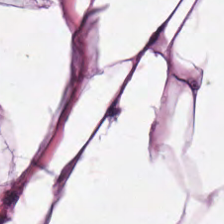Whole-slide-image patch. Hematoxylin and eosin. This field is adipose tissue.
